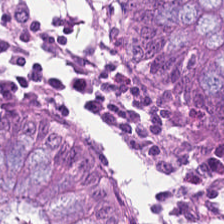Stain: hematoxylin and eosin.
Tissue: normal colon mucosa.
